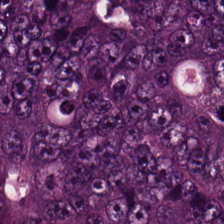Hematoxylin and eosin — Tissue type: colorectal adenocarcinoma.
